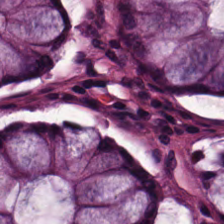0.5 µm per pixel. Hematoxylin-and-eosin stained section. Showing benign colonic mucosa.
